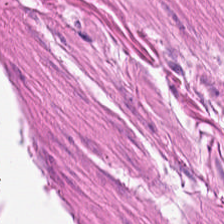224×224 px tile; WSI patch; H&E-stained tissue section.
Tissue: smooth muscle.
